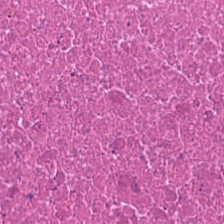Q: Classify this patch.
A: It is necrotic debris.
